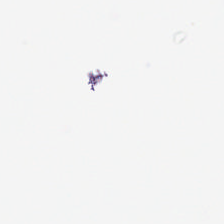H&E stain. Brightfield. FFPE tissue section. Impression — background (no tissue).
